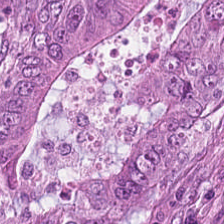H&E stain. FFPE. Classification = malignant epithelium.
